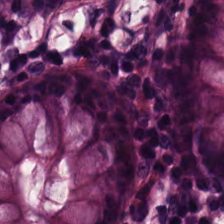H&E-stained section; the field shows non-neoplastic colon mucosa.
